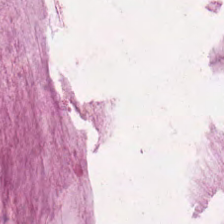H&E-stained section; the field shows extracellular mucin.
